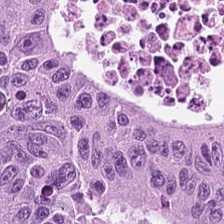FFPE tissue section · 224×224 px tile · H&E stain — Predominantly adenocarcinoma.
